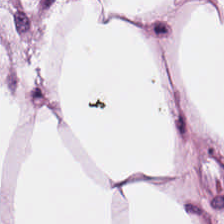Fat tissue.
